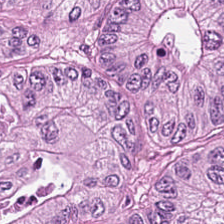FFPE · hematoxylin-and-eosin stained section.
Showing malignant epithelium.
